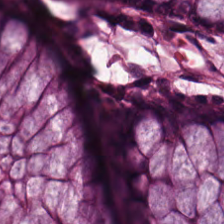H&E-stained tissue section. Finding — non-neoplastic colon mucosa.
